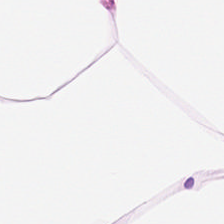FFPE tissue section. Hematoxylin and eosin.
Q: What is shown here?
A: The field shows adipocytes.
